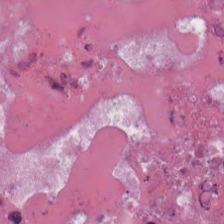H&E-stained tissue section.
Finding → necrotic debris.
